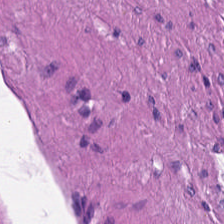Brightfield microscopy; H&E stain. Tissue type — muscularis.
